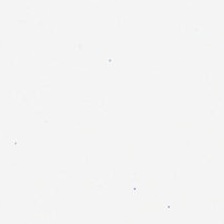Classification: background.
